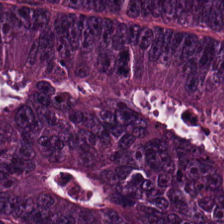H&E stain. FFPE tissue section. 224×224 px patch.
Q: What is the predominant tissue type?
A: The field shows colorectal adenocarcinoma.
